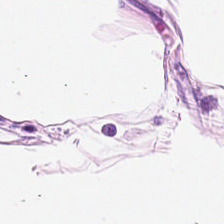FFPE; hematoxylin and eosin. Q: What does this patch show?
A: Fat tissue.
